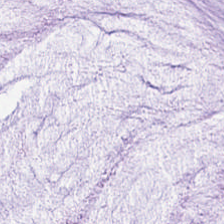Stain: H&E stain.
Preparation: formalin-fixed paraffin-embedded section.
Tissue: mucus.
